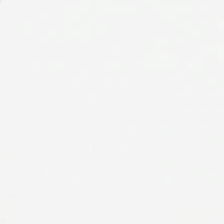Finding → empty background.
